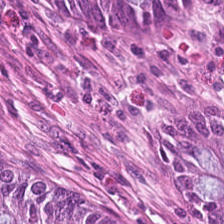Stain: hematoxylin and eosin.
Tissue class: benign colonic mucosa.
